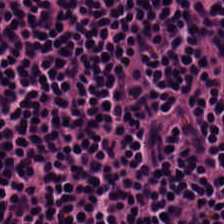Stain: hematoxylin and eosin.
Classification: lymphocyte aggregate.
